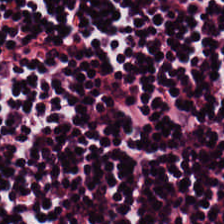This patch shows lymphocytes.
